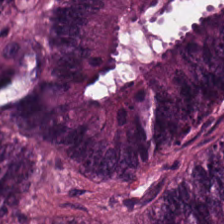Hematoxylin-and-eosin stained section — Classification = adenocarcinoma.
